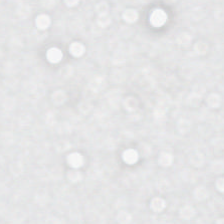Field content = empty background.
